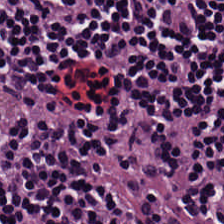Q: What tissue is shown?
A: The field shows lymphocytes.
